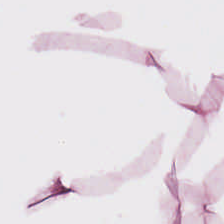H&E.
Adipose.
